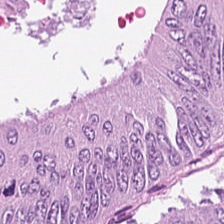Hematoxylin and eosin. Showing tumor epithelium.
